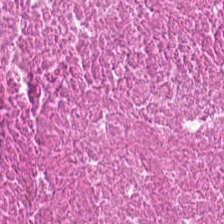Stain: hematoxylin-and-eosin stained section.
Tissue type: necrotic debris.
